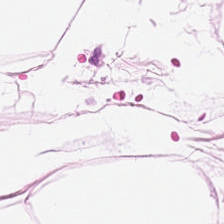H&E · 20× equivalent magnification — Tissue: adipose.
